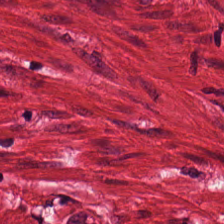This field is smooth-muscle tissue.
